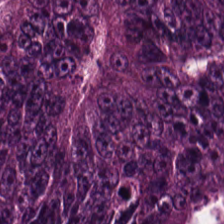H&E; whole-slide-image patch; 20× equivalent magnification.
Tissue type: malignant epithelium.
